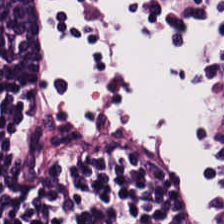H&E — Lymphocytes.
